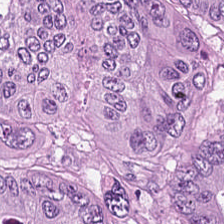Stain: H&E stain.
Acquisition: brightfield microscopy.
Predominant tissue: colorectal adenocarcinoma epithelium.
